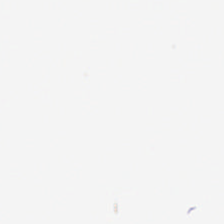H&E. 0.5 µm per pixel — Field content: background.
